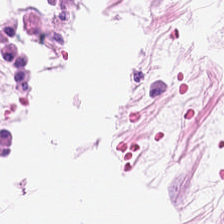H&E stain. {"tissue_type": "adipocytes"}
